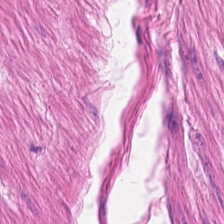Stain: H&E-stained tissue section.
Preparation: FFPE tissue section.
Classification: smooth muscle.
